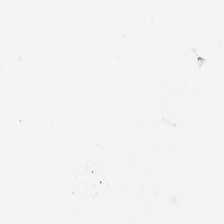Hematoxylin-and-eosin stained section. Empty field — no tissue.
